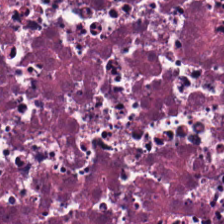Hematoxylin-and-eosin stained section — The tissue is cellular debris.
